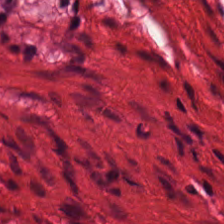H&E-stained tissue section. The tissue class is muscularis.
